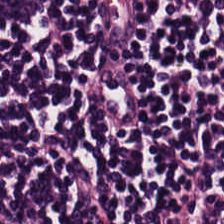Impression — lymphocyte aggregate.
